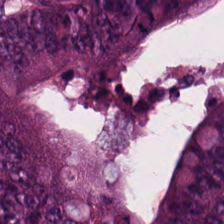H&E stain; brightfield.
Q: What is the predominant tissue type?
A: It is colorectal adenocarcinoma.
